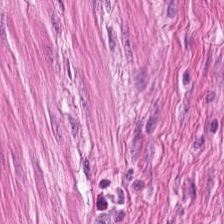Hematoxylin and eosin. Formalin-fixed paraffin-embedded section. Q: What is shown in this field?
A: The field shows muscularis.
